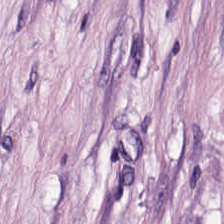0.5 µm per pixel. H&E — Classification = tumor stroma.
